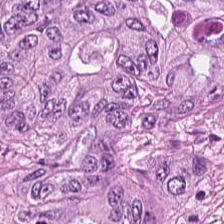Classification = colorectal adenocarcinoma epithelium.
